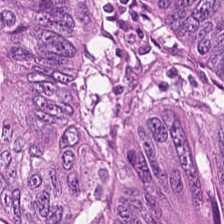H&E-stained tissue section.
Tissue type: tumor epithelium.
